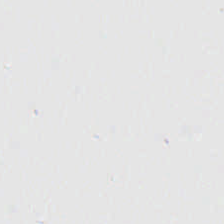Classification — background (no tissue).
